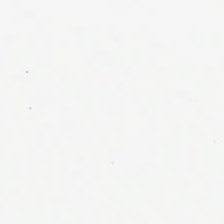No tissue present; background only.
